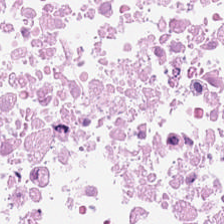224×224 px patch. H&E stain. FFPE. This patch shows debris.
